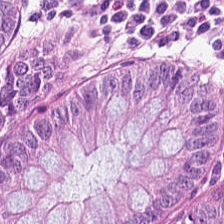20× equivalent magnification. H&E-stained tissue section. Q: What tissue is shown?
A: This is normal colon mucosa.
